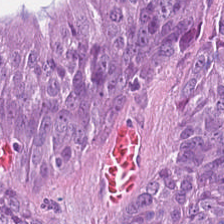Hematoxylin and eosin.
Predominantly colorectal adenocarcinoma epithelium.
